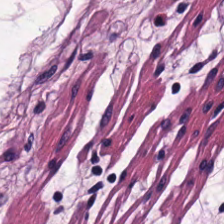H&E. Q: What tissue type is shown here?
A: Smooth muscle.
